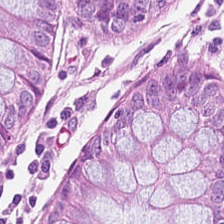Impression — non-neoplastic colon mucosa.
